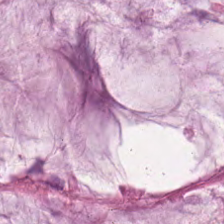H&E stain · WSI patch.
The tissue here is extracellular mucin.
